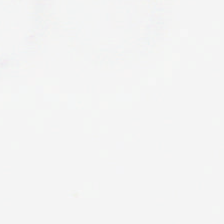H&E stain — No tissue present; background only.
